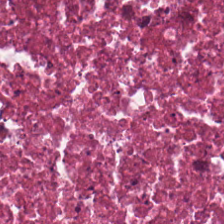Predominant tissue — debris.
